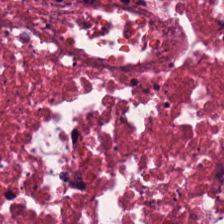{"tissue_type": "debris"}
